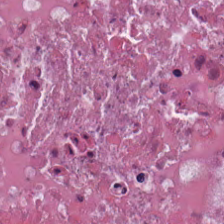H&E stain.
Necrotic debris.
